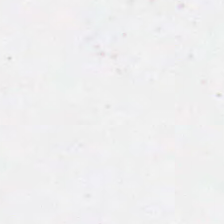H&E-stained tissue section.
Background (no tissue).
